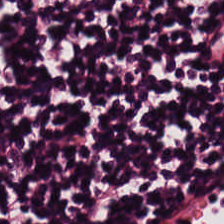Hematoxylin and eosin. Predominantly lymphocytic infiltrate.
